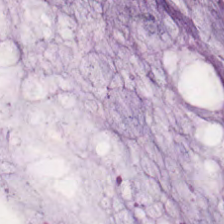H&E-stained tissue section.
Tissue type — extracellular mucin.
